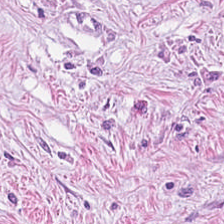H&E stain. Impression — desmoplastic stroma.
